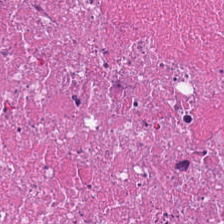Brightfield; hematoxylin-and-eosin stained section.
The tissue class is debris.
